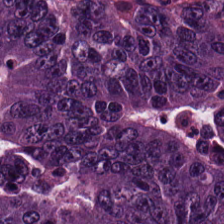Hematoxylin and eosin — The tissue here is colorectal adenocarcinoma.
